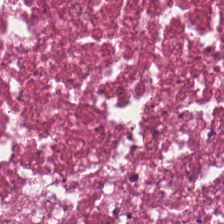Stain: hematoxylin and eosin.
Tissue: cellular debris.
